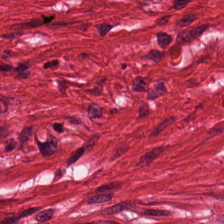FFPE · H&E stain · brightfield microscopy.
Finding — smooth-muscle tissue.
